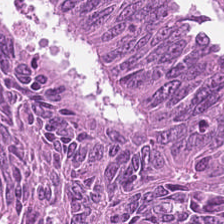Stain: hematoxylin and eosin.
Tissue class: adenocarcinoma.
